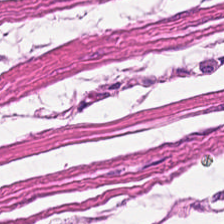Stain: H&E stain.
Tissue type: smooth-muscle tissue.
